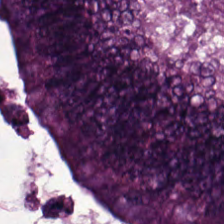FFPE tissue section; hematoxylin and eosin; 224×224 pixel tile. The predominant tissue is adenocarcinoma.
